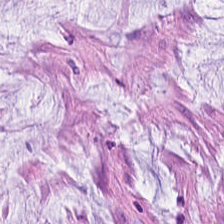Classification = mucin.
